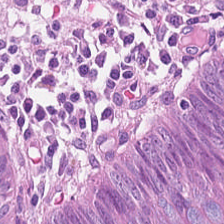Impression — colorectal adenocarcinoma epithelium.
